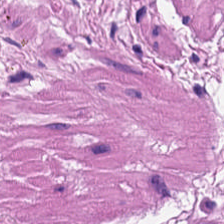Tissue class = smooth-muscle tissue.
